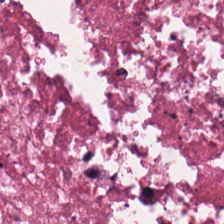The predominant tissue is necrotic debris.
